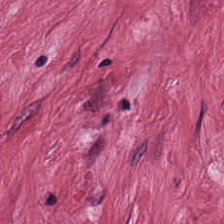FFPE; hematoxylin-and-eosin stained section — This field is tumor-associated stroma.
